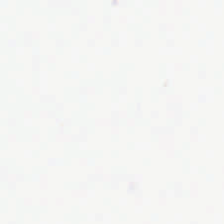Hematoxylin-and-eosin stained section. 0.5 µm per pixel. Brightfield microscopy.
Q: Classify this patch.
A: This is empty background.
